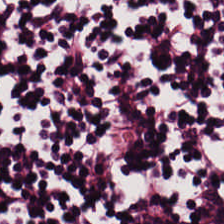Whole-slide-image patch. H&E stain. FFPE tissue section.
Tissue: lymphoid infiltrate.
